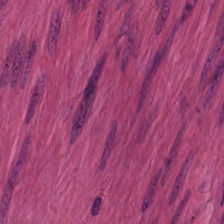0.5 µm/px; 224×224 pixel tile; hematoxylin and eosin.
{"tissue_type": "smooth-muscle tissue"}
